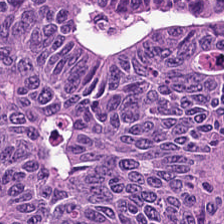Stain: H&E-stained tissue section.
Resolution: 0.5 µm/px.
Classification: colorectal adenocarcinoma epithelium.
